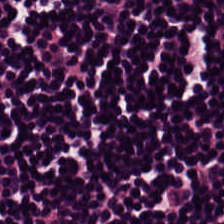Histology → lymphoid infiltrate.
